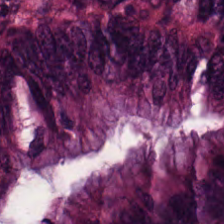Hematoxylin and eosin. Tissue class — colorectal adenocarcinoma epithelium.
